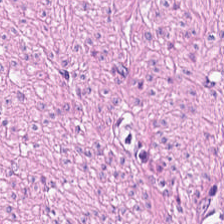H&E.
The classification is smooth-muscle tissue.
